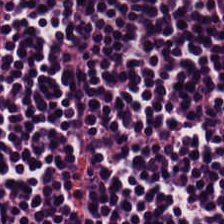H&E. 224×224 pixel tile.
The tissue is lymphocyte aggregate.
